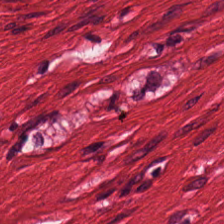Hematoxylin-and-eosin stained section.
Showing smooth-muscle tissue.
